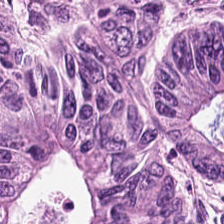Whole-slide-image patch; hematoxylin and eosin — Malignant epithelium.
